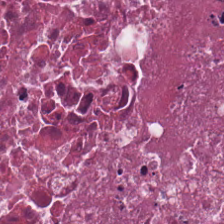Hematoxylin-and-eosin stained section. Tissue class = debris.
